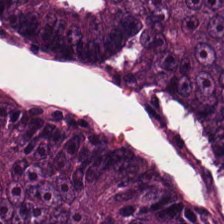The tissue is colorectal adenocarcinoma.
